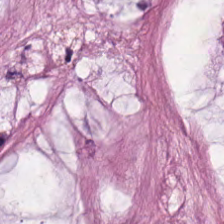Hematoxylin-and-eosin stained section · brightfield microscopy. Classification = extracellular mucin.
